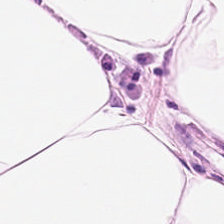H&E; FFPE.
Finding — adipose tissue.
